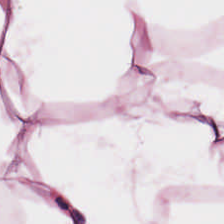H&E · FFPE tissue section. This field is fat tissue.
